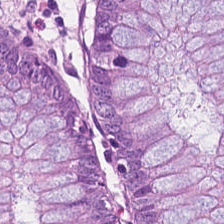H&E. Q: What type of tissue is this?
A: It is normal colonic mucosa.
